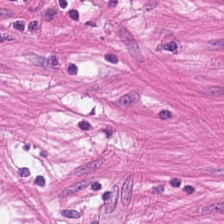H&E stain — Predominantly smooth-muscle tissue.
